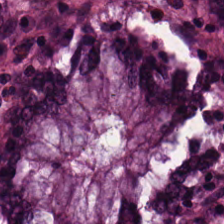{"tissue_type": "normal colon mucosa"}
